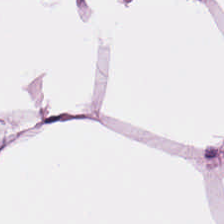Q: What is shown here?
A: This is adipose.
